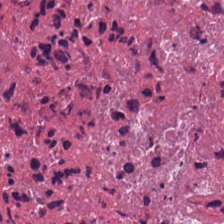FFPE tissue section. Hematoxylin-and-eosin stained section — This field is necrotic debris.
